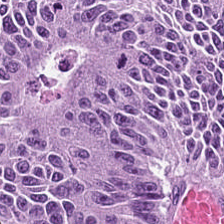H&E stain. Finding — colorectal adenocarcinoma.
